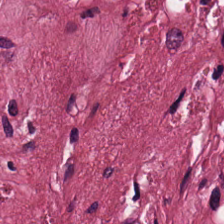Hematoxylin and eosin — Q: What is shown here?
A: It is desmoplastic stroma.
